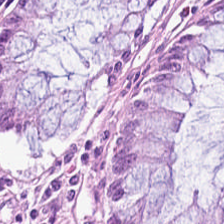H&E stain · 224×224 px patch · formalin-fixed paraffin-embedded section. Tissue = normal colon mucosa.
